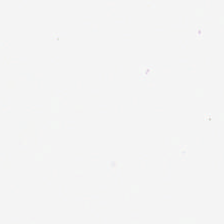Field content: no tissue.
